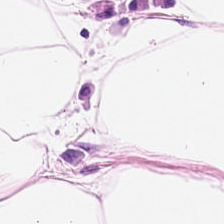Predominantly adipose.
